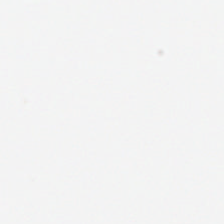Formalin-fixed paraffin-embedded section · hematoxylin and eosin.
Background — no tissue in this field.
